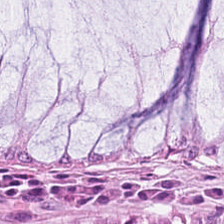Showing normal colonic mucosa.
